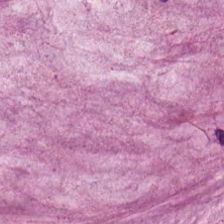{"tissue_type": "mucus"}
